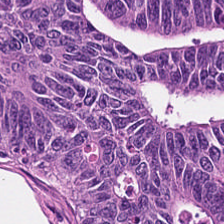H&E — adenocarcinoma.
